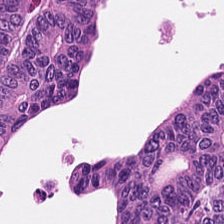H&E-stained tissue section — Tissue type: malignant epithelium.
